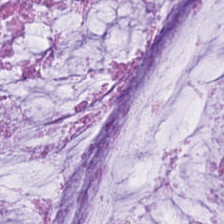Hematoxylin and eosin. This field is mucin.
